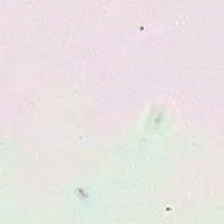FFPE tissue section. H&E.
Background — no tissue in this field.
